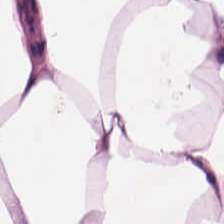Stain: hematoxylin and eosin.
Resolution: 0.5 µm/px.
Tile size: 224×224 pixel tile.
Tissue class: adipocytes.
